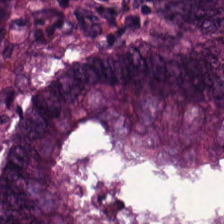FFPE · hematoxylin-and-eosin stained section — Impression — malignant epithelium.
